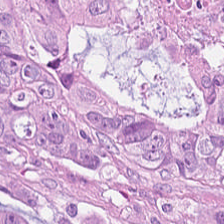Finding — tumor epithelium.
